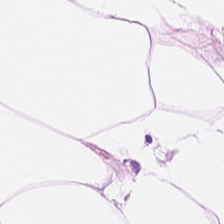FFPE · 224×224 pixel tile · H&E stain — Adipose.
